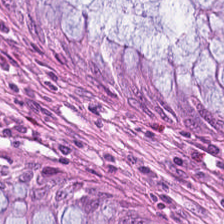The tissue here is benign colonic mucosa.
